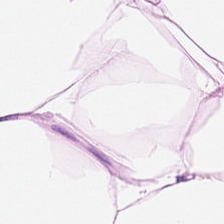Showing fat tissue.
